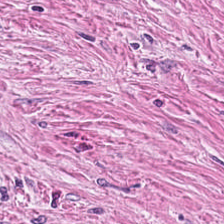H&E.
The predominant tissue is cancer-associated stroma.
